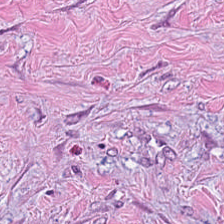Hematoxylin and eosin — Tissue class = cancer-associated stroma.
